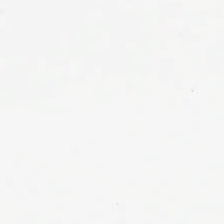Hematoxylin and eosin · FFPE tissue section — Empty background.
